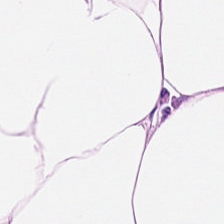Brightfield. 0.5 µm/px. H&E-stained tissue section. Q: What is shown here?
A: The field shows adipocytes.
